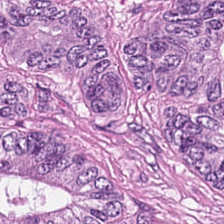Predominantly malignant epithelium.
